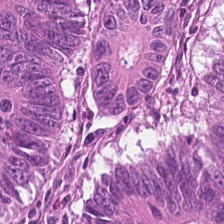H&E stain.
Tissue: tumor epithelium.
